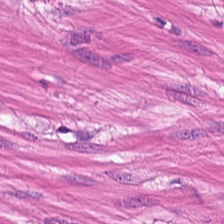H&E stain — Finding — smooth-muscle tissue.
